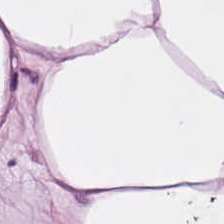H&E stain. Q: Identify the tissue.
A: Adipose.
